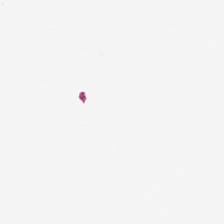H&E-stained tissue section. Whole-slide-image patch — Histology → background.
